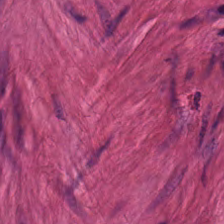Stain: H&E stain.
Tissue type: muscularis.
